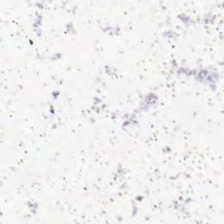Content = no tissue.
